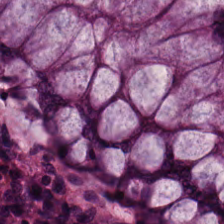H&E-stained tissue section. This field is normal colonic mucosa.
